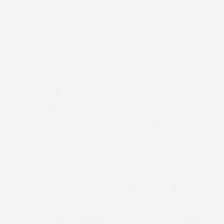H&E-stained tissue section · WSI patch — Background — no tissue in this field.
